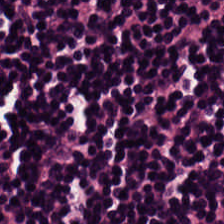224×224 px tile · hematoxylin-and-eosin stained section. {"tissue_type": "lymphocytes"}
